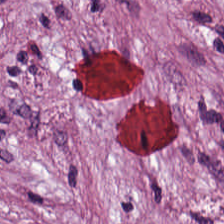H&E-stained tissue section — Tissue type = cancer-associated stroma.
